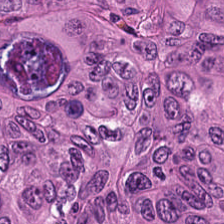Stain: H&E stain.
Tile size: 224×224 px tile.
Preparation: FFPE.
Predominant tissue: colorectal adenocarcinoma.
